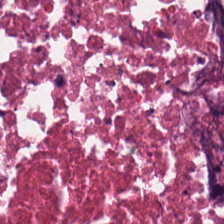Stain: H&E stain.
Classification: necrotic debris.
